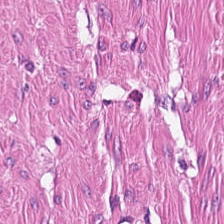Hematoxylin-and-eosin stained section · whole-slide-image patch. This field is smooth-muscle tissue.
